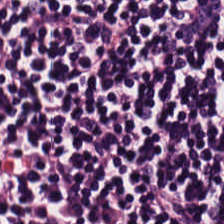Stain: H&E-stained tissue section.
Tissue type: lymphoid infiltrate.
